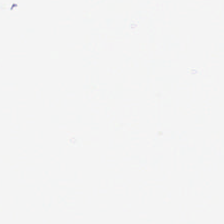FFPE tissue section. Hematoxylin and eosin. Content = background.
